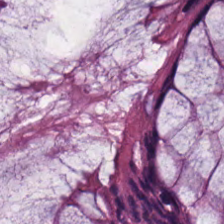H&E-stained tissue section.
This patch shows normal colon mucosa.
